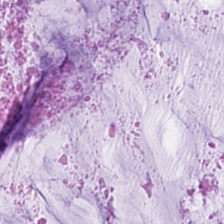20× equivalent magnification · hematoxylin-and-eosin stained section — Q: What tissue type is shown here?
A: The field shows extracellular mucin.
